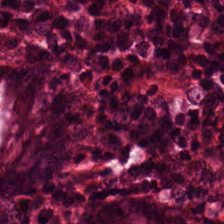Impression → normal colon mucosa.
